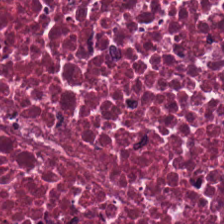The tissue is cellular debris.
